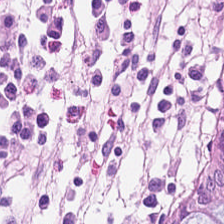H&E-stained section; the field shows normal colonic mucosa.
